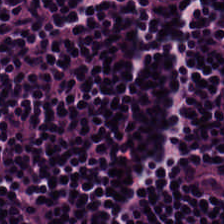H&E stain — Q: Classify this patch.
A: Lymphocytic infiltrate.
